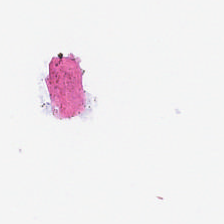H&E; brightfield — This field is background (no tissue).
